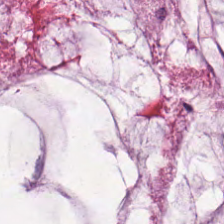H&E-stained tissue section. Q: What tissue is shown?
A: The field shows mucin.
